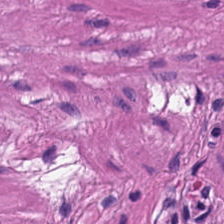H&E stain.
Q: Classify this patch.
A: It is smooth-muscle tissue.
